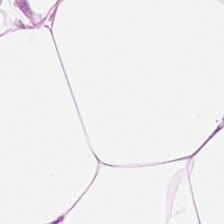Stain: H&E stain.
Resolution: 0.5 microns per pixel.
Tissue: adipose tissue.
